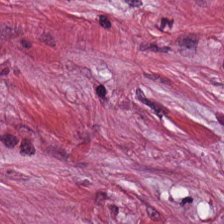Stain: H&E.
Tissue class: cancer-associated stroma.
